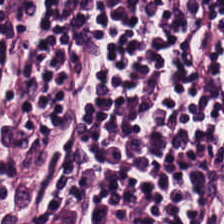Hematoxylin-and-eosin stained section. Tissue: lymphocytes.
